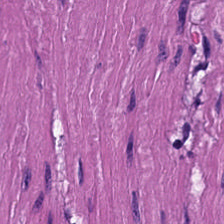Hematoxylin-and-eosin section: smooth-muscle tissue.
